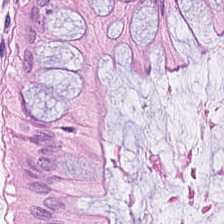Showing non-neoplastic colon mucosa.
